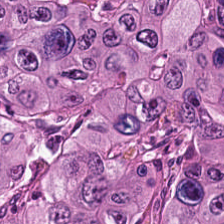Stain: H&E.
Classification: malignant epithelium.
